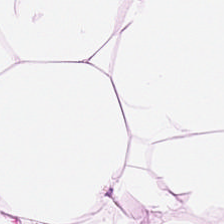This patch shows adipose.
